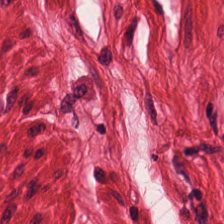Brightfield · H&E-stained tissue section — Q: What type of tissue is this?
A: It is muscularis.
